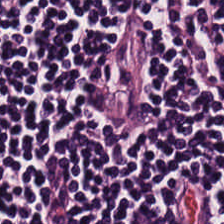Hematoxylin and eosin.
Tissue class = lymphocyte aggregate.
